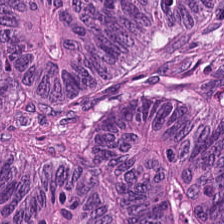Hematoxylin-and-eosin stained section; 0.5 µm per pixel.
The predominant tissue is colorectal adenocarcinoma.
